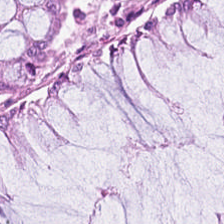Stain: H&E-stained tissue section.
Predominant tissue: benign colonic mucosa.
